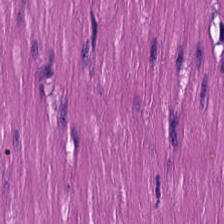H&E stain. Predominant tissue = smooth muscle.
